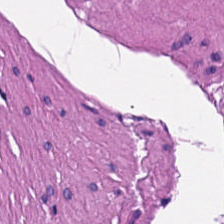Q: What tissue is shown?
A: This is smooth-muscle tissue.
